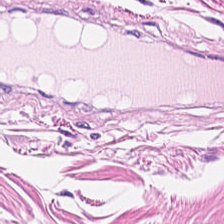H&E-stained tissue section; 0.5 microns per pixel — Q: Classify this patch.
A: This is smooth-muscle tissue.
